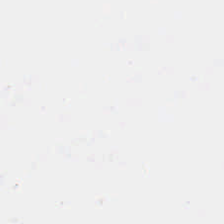Whole-slide-image patch; formalin-fixed paraffin-embedded section; H&E. Field content = background (no tissue).
